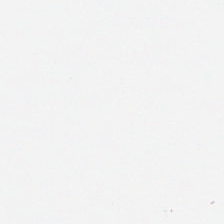H&E stain. This field is background (no tissue).
